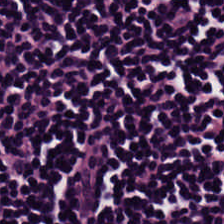0.5 µm/px; 224×224 pixel tile; hematoxylin and eosin.
Histology — lymphocytes.
